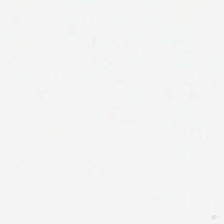0.5 µm per pixel · hematoxylin-and-eosin stained section — Q: Classify this patch.
A: It is background (no tissue).
